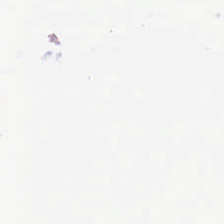Histology — background (no tissue).
